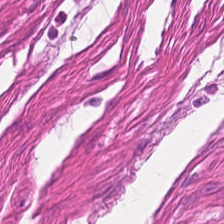This patch shows smooth-muscle tissue.
